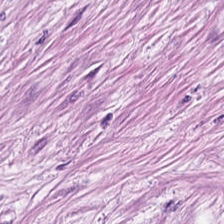FFPE. H&E stain. WSI patch.
Finding → tumor stroma.
